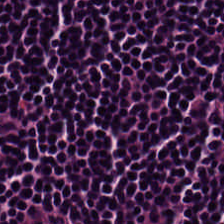The tissue type is lymphocytes.
